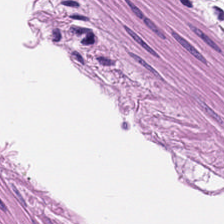Hematoxylin-and-eosin stained section — The tissue is muscularis.
